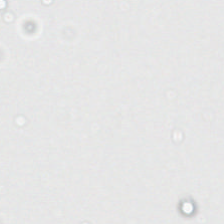Classification = no tissue.
